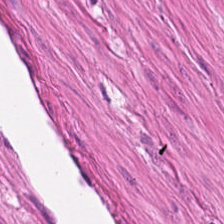224×224 pixel tile · H&E-stained tissue section — The tissue class is smooth-muscle tissue.
